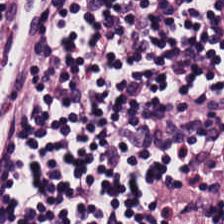Hematoxylin-and-eosin stained section · 0.5 µm per pixel. Tissue class: lymphocytic infiltrate.
